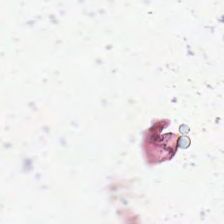No tissue present; background only.
